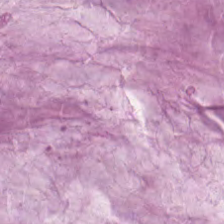Q: What type of tissue is this?
A: This is mucus.
